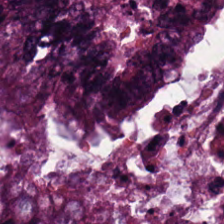Stain: hematoxylin and eosin.
Predominant tissue: colorectal adenocarcinoma.
